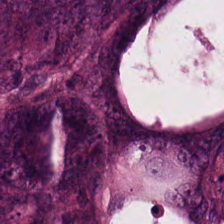Stain: H&E.
Classification: adenocarcinoma.
